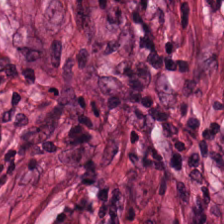H&E · 224×224 px tile · WSI patch. Q: What does this patch show?
A: This is tumor-associated stroma.
